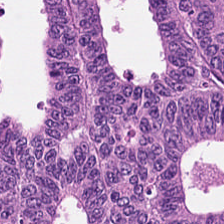H&E — This field is tumor epithelium.
